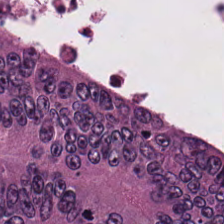FFPE tissue section; hematoxylin and eosin; whole-slide-image patch. Predominant tissue = adenocarcinoma.
